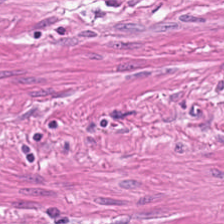H&E. 224×224 px patch. FFPE tissue section. Tissue type — smooth muscle.
